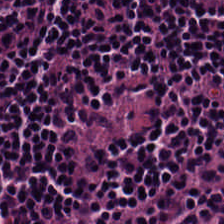20× equivalent magnification. Hematoxylin-and-eosin stained section. Formalin-fixed paraffin-embedded section — Predominantly lymphocyte aggregate.
